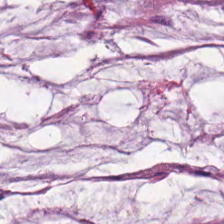H&E stain; 224×224 px patch — Impression — extracellular mucin.
